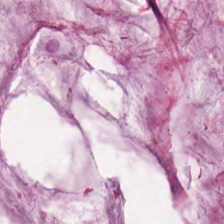Hematoxylin and eosin. Q: What tissue type is shown here?
A: Extracellular mucin.
